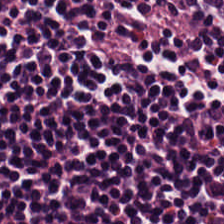224×224 px tile. Hematoxylin and eosin. 0.5 µm/px — Predominantly lymphoid infiltrate.
